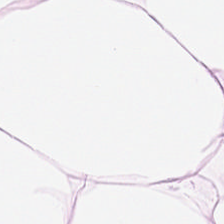H&E.
Showing adipocytes.
